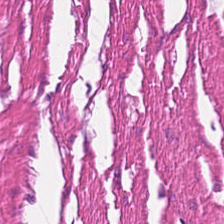H&E stain · 224×224 px tile · 20× equivalent magnification. Showing muscularis.
